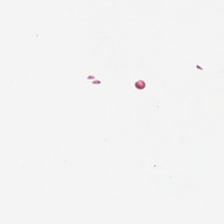Hematoxylin-and-eosin stained section. This field is background (no tissue).
